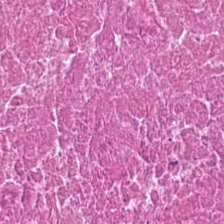Hematoxylin-and-eosin stained section — Showing cellular debris.
